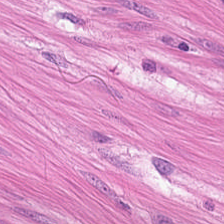224×224 pixel tile · H&E — The tissue class is smooth muscle.
